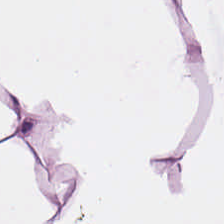224×224 px patch; hematoxylin-and-eosin stained section — Classification: adipose tissue.
